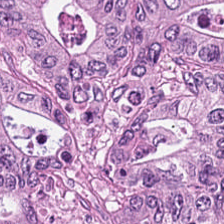This field is tumor epithelium.
